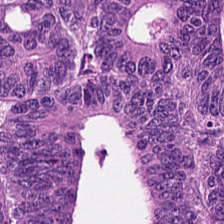Classification — tumor epithelium.
